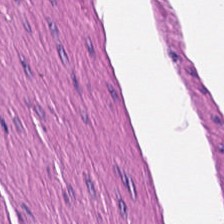Stain: hematoxylin and eosin.
Classification: smooth-muscle tissue.
